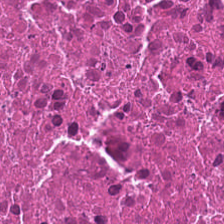H&E-stained tissue section · 224×224 px tile.
Tissue type = cellular debris.
